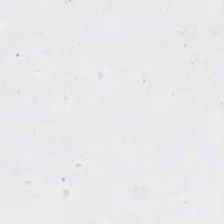H&E-stained tissue section. No tissue present; background only.
